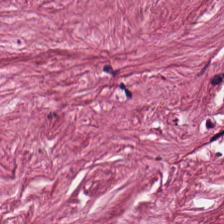Stain: H&E.
Resolution: 0.5 µm/px.
Acquisition: WSI patch.
Tissue class: cancer-associated stroma.
